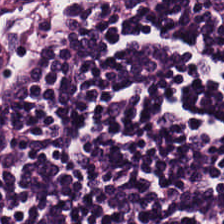H&E-stained tissue section. 224×224 pixel tile. Formalin-fixed paraffin-embedded section.
Finding — lymphoid infiltrate.
